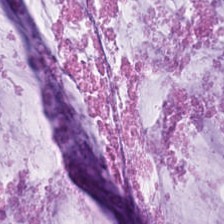Hematoxylin and eosin. Showing mucus.
